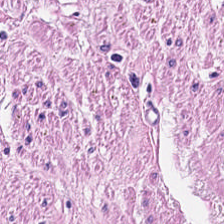Stain: hematoxylin-and-eosin stained section.
Classification: smooth-muscle tissue.
